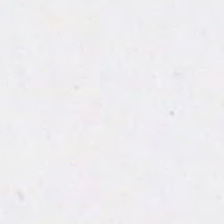Q: What is shown in this field?
A: Background.
